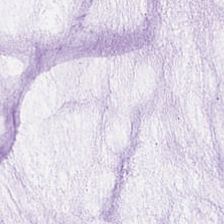Whole-slide-image patch; hematoxylin-and-eosin stained section — {"tissue_type": "mucus"}
